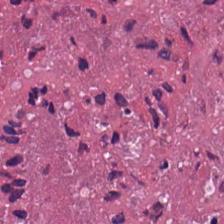H&E-stained tissue section.
The tissue here is cellular debris.
